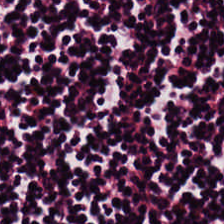Stain: hematoxylin-and-eosin stained section.
Tile size: 224×224 px tile.
Tissue: lymphocyte aggregate.
